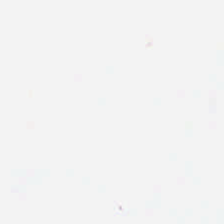Finding → background (no tissue).
